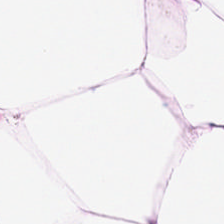H&E-stained tissue section showing adipocytes.
